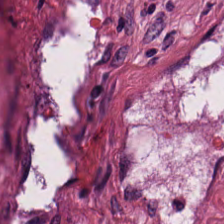Hematoxylin-and-eosin stained section.
The tissue class is desmoplastic stroma.
